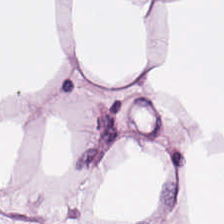Finding → adipocytes.
